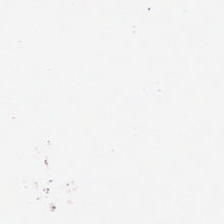224×224 pixel tile; H&E stain — Q: What is shown in this field?
A: The field shows empty background.
